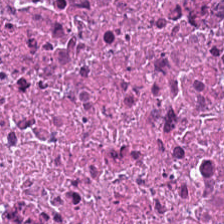0.5 µm/px; hematoxylin-and-eosin stained section — {"tissue_type": "necrotic debris"}
